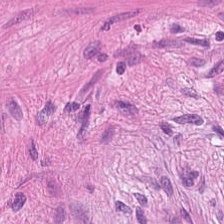H&E-stained tissue section; 224×224 px patch.
Showing muscularis.
